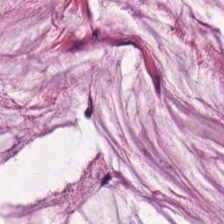0.5 µm per pixel · formalin-fixed paraffin-embedded section · hematoxylin-and-eosin stained section.
Histology → extracellular mucin.
